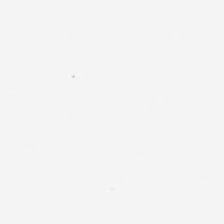H&E-stained tissue section.
Classification: background.
